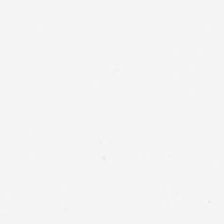Background — no tissue in this field.
